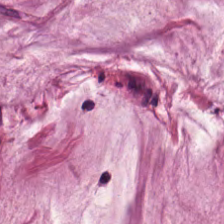H&E. Extracellular mucin.
